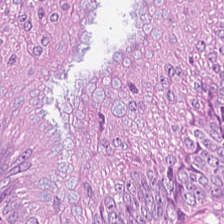0.5 µm per pixel; 224×224 pixel tile; hematoxylin and eosin — Q: What is the predominant tissue type?
A: It is tumor epithelium.
